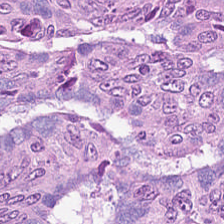Hematoxylin and eosin. Impression — colorectal adenocarcinoma.
